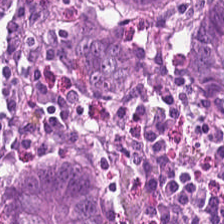Impression → benign colonic mucosa.
